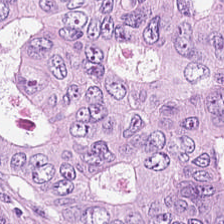H&E stain. The predominant tissue is colorectal adenocarcinoma.
